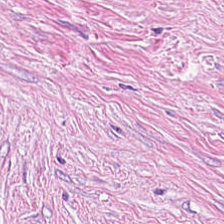Whole-slide-image patch. H&E-stained tissue section. Formalin-fixed paraffin-embedded section — The tissue here is desmoplastic stroma.
